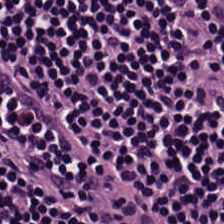H&E stain — Showing lymphoid infiltrate.
